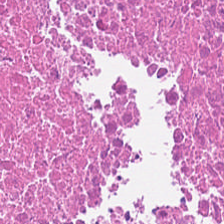H&E; FFPE — Q: What does this patch show?
A: Cellular debris.
